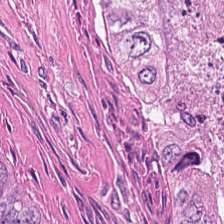The predominant tissue is necrotic debris.
